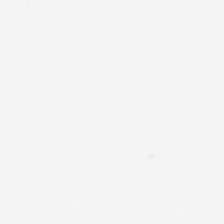H&E stain · 224×224 px tile. Q: Classify this patch.
A: Empty background.
